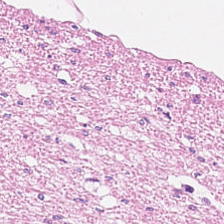Smooth-muscle tissue.
